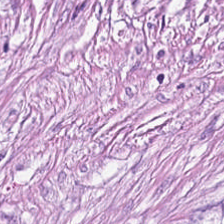Hematoxylin-and-eosin stained section.
Showing tumor stroma.
